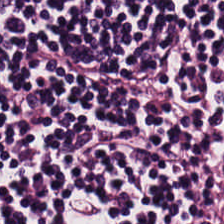H&E · FFPE tissue section — The classification is lymphocytes.
